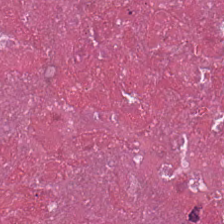H&E-stained tissue section; 20× equivalent magnification; whole-slide-image patch.
Tissue class — cellular debris.
